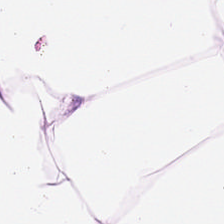Hematoxylin-and-eosin stained section. Tissue — adipocytes.
